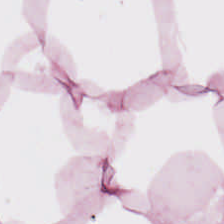H&E. 224×224 px patch.
Adipose tissue.
